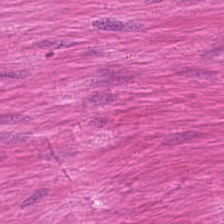20× equivalent magnification · 224×224 px tile · hematoxylin-and-eosin stained section — Q: What tissue type is shown here?
A: This is muscularis.
